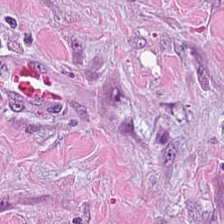H&E-stained tissue section showing desmoplastic stroma.
